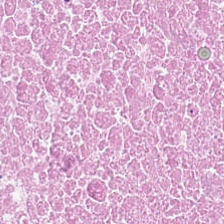H&E stain — Tissue — necrotic debris.
